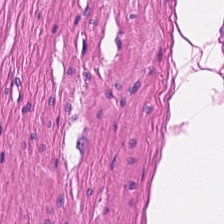224×224 px tile. H&E stain. The predominant tissue is smooth muscle.
